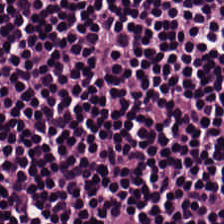Stain: H&E stain.
Predominant tissue: lymphoid infiltrate.
